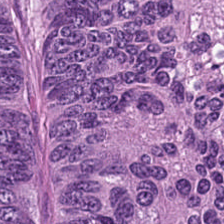H&E stain. Adenocarcinoma.
